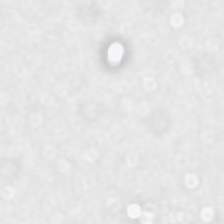Stain: H&E stain.
Field content: empty background.
